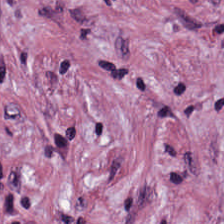Desmoplastic stroma.
